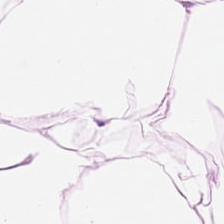224×224 px patch; 0.5 µm per pixel; H&E-stained tissue section.
Classification: adipocytes.
